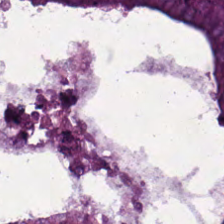Stain: H&E.
Tissue: adenocarcinoma.
